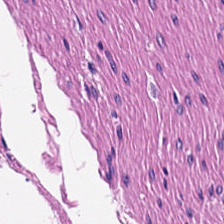Predominantly muscularis.
